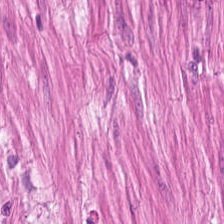H&E.
Classification: smooth-muscle tissue.
